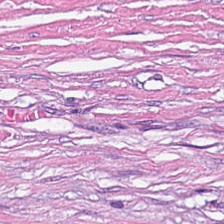This patch shows tumor-associated stroma.
